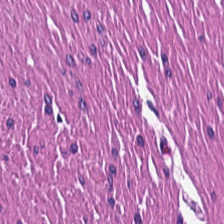Whole-slide-image patch · hematoxylin-and-eosin stained section — This field is smooth muscle.
